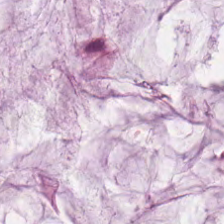Hematoxylin-and-eosin section: mucin.
